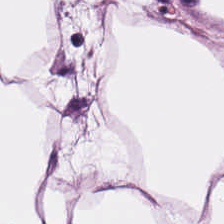H&E. Whole-slide-image patch — Q: What tissue is shown?
A: Adipocytes.
